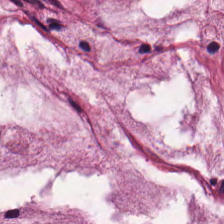H&E — mucus.
